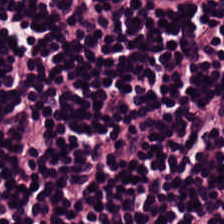20× equivalent magnification · hematoxylin-and-eosin stained section — Q: What is the predominant tissue type?
A: The field shows lymphoid infiltrate.
